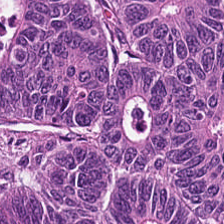The tissue class is malignant epithelium.
